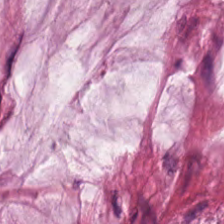Showing extracellular mucin.
